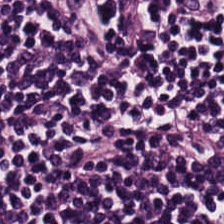H&E-stained tissue section.
Classification — lymphocytes.
